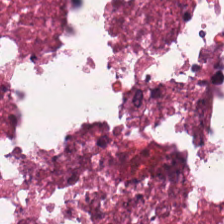H&E-stained tissue section.
The tissue is cellular debris.
